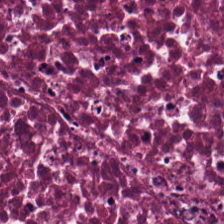WSI patch. H&E-stained tissue section — Q: What is shown in this field?
A: Necrotic debris.
